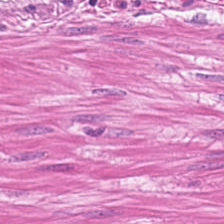Hematoxylin-and-eosin stained section; 224×224 px tile.
The tissue class is smooth-muscle tissue.
